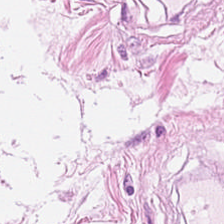H&E-stained tissue section · 224×224 px tile · formalin-fixed paraffin-embedded section — Showing adipose tissue.
